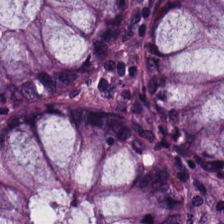Tissue type = normal colon mucosa.
